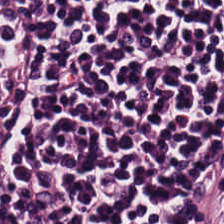Tissue type = lymphoid infiltrate.
